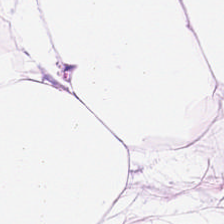H&E stain. Classification: fat tissue.
